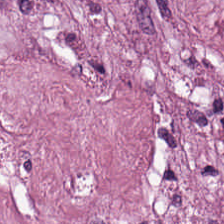FFPE tissue section; hematoxylin-and-eosin stained section; brightfield. Tissue class: tumor stroma.
